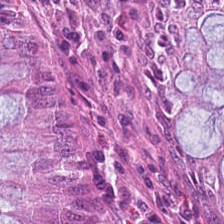0.5 µm per pixel · H&E stain · whole-slide-image patch.
The tissue here is benign colonic mucosa.
